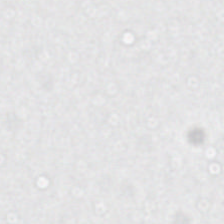H&E-stained tissue section; formalin-fixed paraffin-embedded section.
Q: Classify this patch.
A: This is no tissue.
